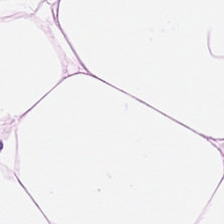Brightfield · H&E-stained tissue section. Q: Classify this patch.
A: This is adipose.
